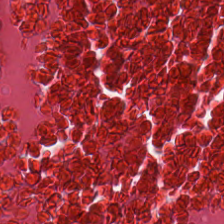Tissue type: necrotic debris.
